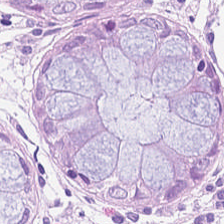Classification — normal colon mucosa.
